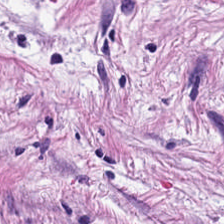224×224 pixel tile. H&E. Tissue type = cancer-associated stroma.
